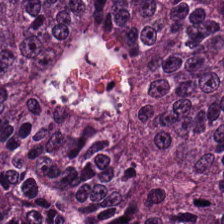FFPE tissue section · hematoxylin-and-eosin stained section · brightfield.
Predominant tissue — malignant epithelium.
